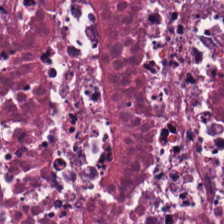H&E stain.
{"tissue_type": "cellular debris"}
